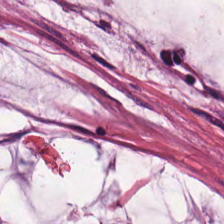Hematoxylin-and-eosin stained section — Mucin.
